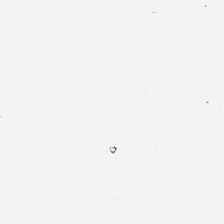Content = background.
